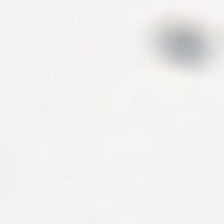FFPE tissue section. H&E stain. Background — no tissue in this field.
